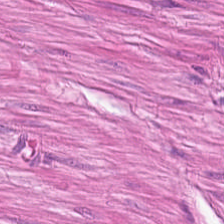Hematoxylin-and-eosin stained section.
Showing smooth-muscle tissue.
